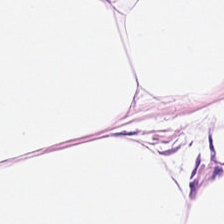H&E-stained tissue section.
Classification: adipose tissue.
